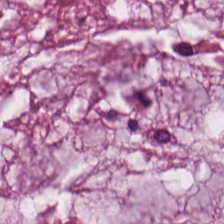Hematoxylin-and-eosin stained section — Mucin.
